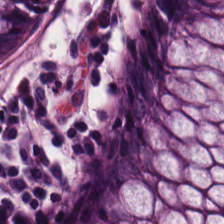H&E-stained tissue section · brightfield. Normal colon mucosa.
